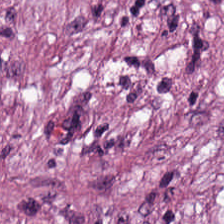Tissue = tumor-associated stroma.
